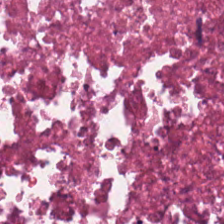Stain: H&E-stained tissue section.
Classification: necrotic debris.
